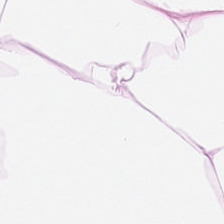Stain: H&E.
Tissue: adipose tissue.
